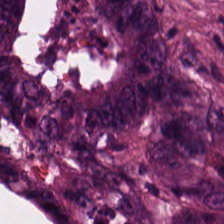Hematoxylin-and-eosin stained section. FFPE tissue section. Predominant tissue: adenocarcinoma.
